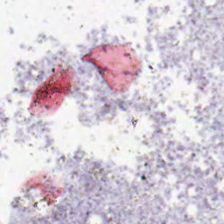224×224 px patch; FFPE; H&E stain — This patch shows empty background.
